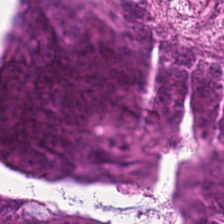H&E patch showing tumor epithelium.
